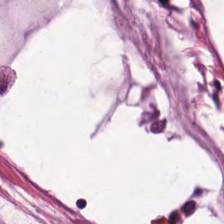H&E-stained tissue section; FFPE; 224×224 pixel tile — Histology — extracellular mucin.
